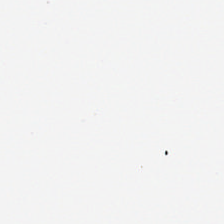WSI patch. 0.5 microns per pixel. H&E.
This field is background (no tissue).
